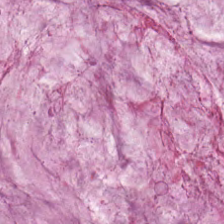WSI patch. H&E-stained tissue section. 224×224 px patch — Predominant tissue — mucus.
